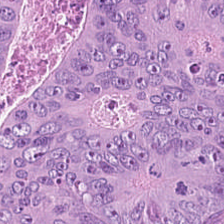Stain: H&E-stained tissue section.
Tile size: 224×224 px patch.
Tissue type: colorectal adenocarcinoma epithelium.
